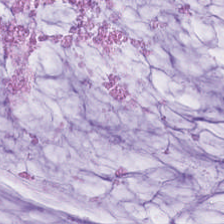Hematoxylin-and-eosin stained section — This patch shows extracellular mucin.
